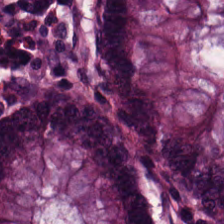H&E-stained tissue section — The tissue is non-neoplastic colon mucosa.
